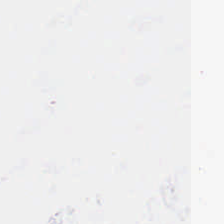Hematoxylin-and-eosin stained section.
Q: What does this patch show?
A: This is background.
